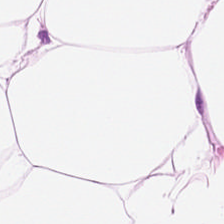H&E-stained section; the field shows adipose.
